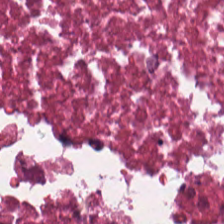0.5 µm/px. Hematoxylin and eosin.
Showing debris.
